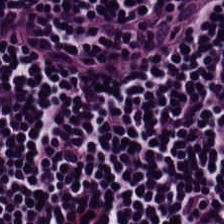Brightfield. Hematoxylin-and-eosin stained section. Tissue class: lymphocytes.
